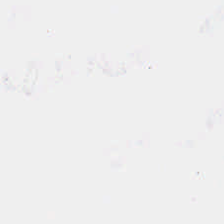H&E stain.
The field content is no tissue.
